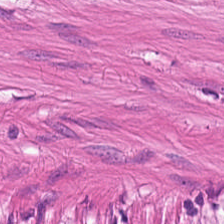Hematoxylin and eosin — Classification = smooth-muscle tissue.
